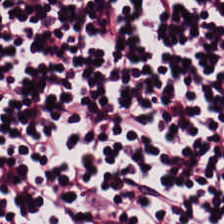Hematoxylin-and-eosin stained section · 0.5 microns per pixel · FFPE — Predominant tissue: lymphoid infiltrate.
